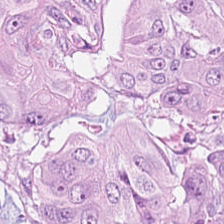Stain: H&E stain.
Tissue type: colorectal adenocarcinoma epithelium.
